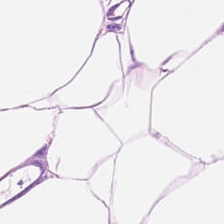224×224 px tile; H&E-stained tissue section — This field is adipocytes.
